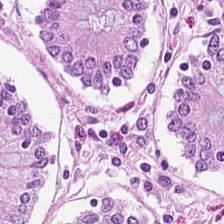Q: What tissue type is shown here?
A: The field shows normal colon mucosa.
